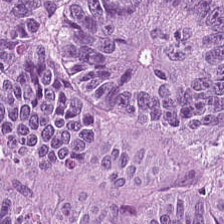Hematoxylin and eosin · 224×224 pixel tile — Showing colorectal adenocarcinoma epithelium.
